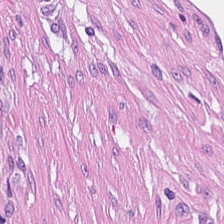H&E stain. Q: What is the predominant tissue type?
A: This is desmoplastic stroma.
